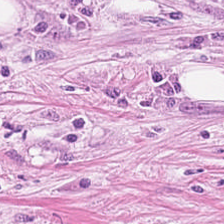Hematoxylin-and-eosin stained section.
Predominantly tumor-associated stroma.
